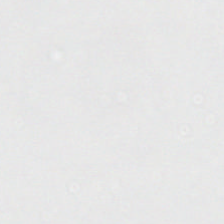Finding → background (no tissue).
